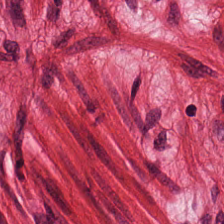Hematoxylin and eosin. 0.5 µm/px.
This field is muscularis.
